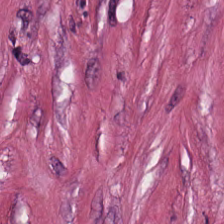0.5 µm/px · hematoxylin-and-eosin stained section.
This patch shows tumor stroma.
